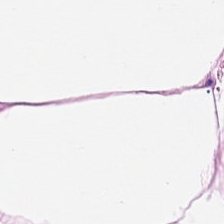WSI patch. Hematoxylin and eosin — Predominantly adipose.
